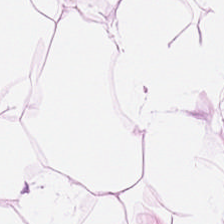Stain: hematoxylin-and-eosin stained section.
Tissue type: adipose tissue.
